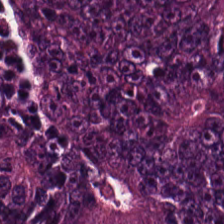H&E — Tissue class — malignant epithelium.
